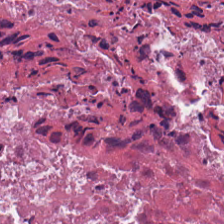The tissue type is cellular debris.
